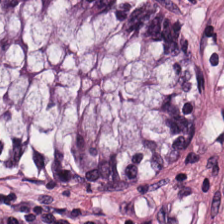Hematoxylin-and-eosin stained section — The classification is benign colonic mucosa.
